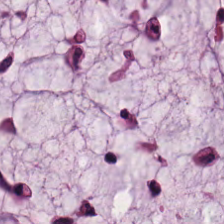WSI patch; formalin-fixed paraffin-embedded section; H&E. Tissue type = extracellular mucin.
